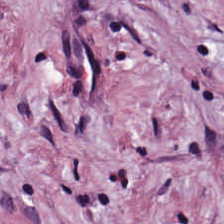0.5 microns per pixel. H&E stain. FFPE tissue section.
Showing tumor stroma.
